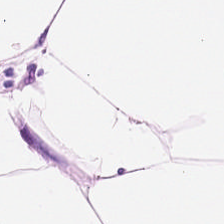Hematoxylin-and-eosin stained section · 0.5 µm/px · 224×224 px tile.
Q: What does this patch show?
A: It is adipose.
